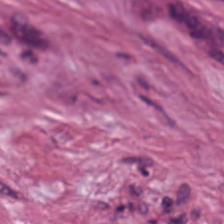FFPE · hematoxylin-and-eosin stained section — This field is tumor stroma.
